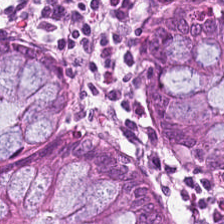Impression — normal colon mucosa.
